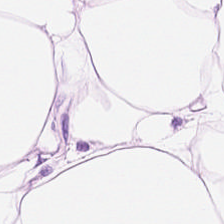H&E stain — The predominant tissue is adipose.
